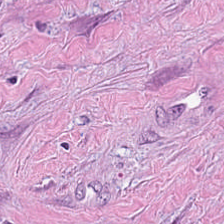H&E-stained tissue section. Predominantly tumor stroma.
